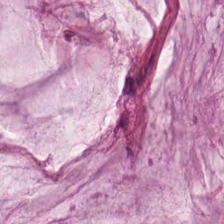Stain: hematoxylin-and-eosin stained section.
Classification: mucus.
